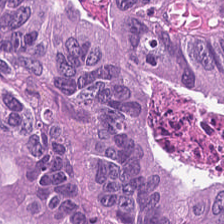Classification: tumor epithelium.
